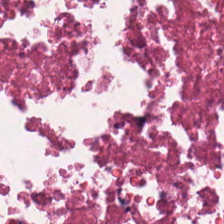H&E stain · 224×224 pixel tile.
This patch shows cellular debris.
